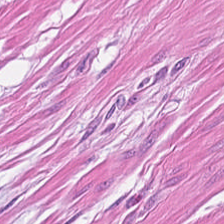Hematoxylin and eosin.
Tissue type = muscularis.
